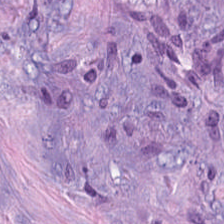Hematoxylin-and-eosin stained section · FFPE — The tissue here is cancer-associated stroma.
